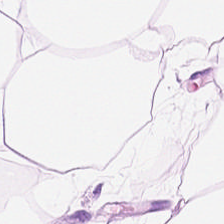H&E — Showing adipocytes.
